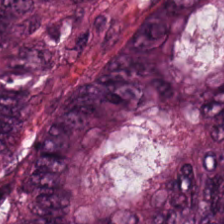Hematoxylin-and-eosin stained section — Predominant tissue = mucin.
